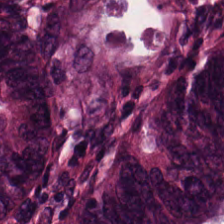0.5 microns per pixel; H&E stain; FFPE.
The predominant tissue is colorectal adenocarcinoma epithelium.
